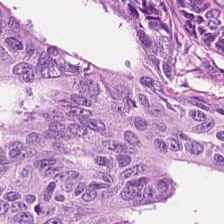Whole-slide-image patch; FFPE tissue section; hematoxylin and eosin.
Finding → colorectal adenocarcinoma epithelium.
